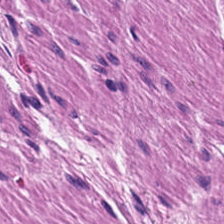224×224 px tile. H&E stain. Showing smooth-muscle tissue.
